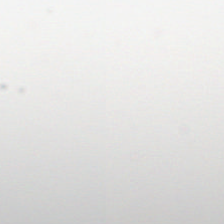H&E stain.
Background.
